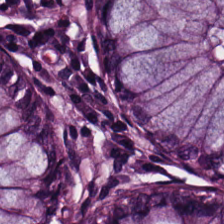Hematoxylin and eosin — Q: Identify the tissue.
A: It is normal colonic mucosa.
